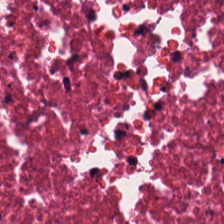Classification — debris.
